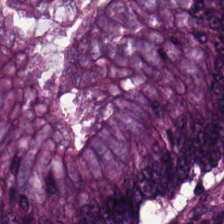H&E stain — Showing colorectal adenocarcinoma.
